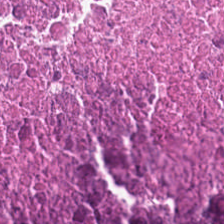Debris.
